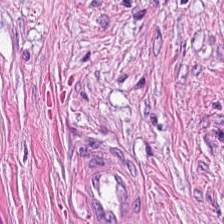224×224 pixel tile. H&E-stained tissue section. Whole-slide-image patch.
This patch shows tumor-associated stroma.
